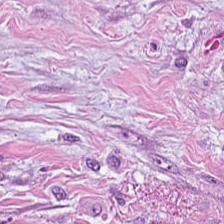{"tissue_type": "desmoplastic stroma"}
